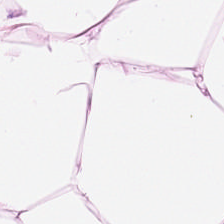H&E. Q: What tissue is shown?
A: The field shows adipocytes.
